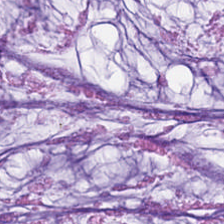H&E stain. This patch shows mucus.
